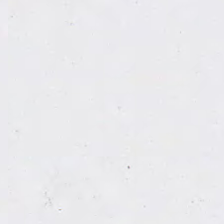Hematoxylin and eosin. Background — no tissue in this field.
